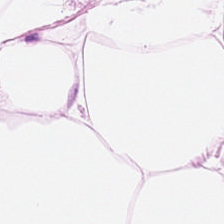Hematoxylin and eosin; WSI patch. Tissue type — fat tissue.
